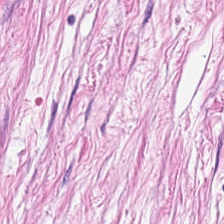H&E stain.
Predominant tissue = tumor stroma.
